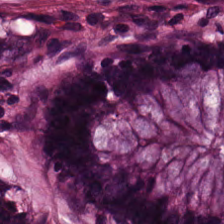FFPE tissue section. 20× equivalent magnification. Hematoxylin-and-eosin stained section. Q: What tissue type is shown here?
A: It is benign colonic mucosa.
